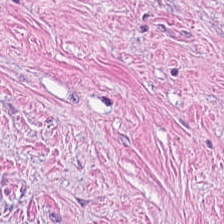Hematoxylin-and-eosin stained section. The classification is tumor-associated stroma.
